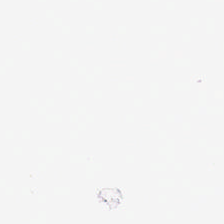H&E stain; brightfield microscopy.
No tissue.
